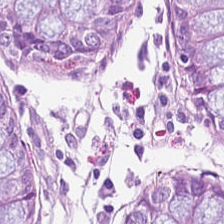224×224 pixel tile · H&E-stained tissue section · WSI patch.
Tissue class — normal colonic mucosa.
